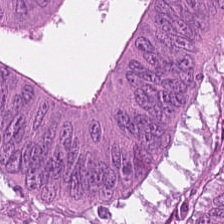Tissue — colorectal adenocarcinoma.
